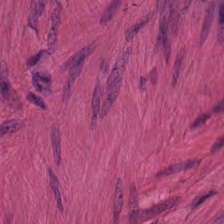H&E stain. Classification = muscularis.
